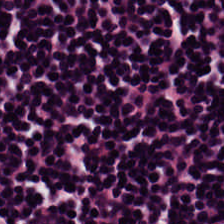H&E-stained tissue section. Q: What does this patch show?
A: The field shows lymphoid infiltrate.
